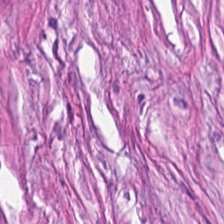H&E-stained tissue section. Showing tumor stroma.
